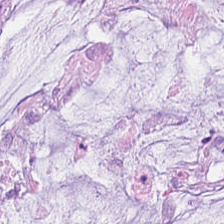Hematoxylin-and-eosin stained section. 224×224 px patch — The tissue here is mucin.
